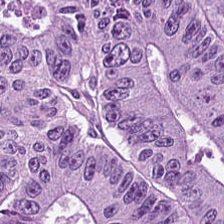H&E stain.
Q: What type of tissue is this?
A: Colorectal adenocarcinoma epithelium.
